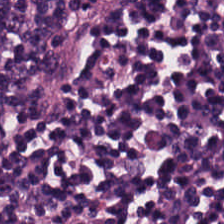H&E. FFPE. WSI patch.
Showing lymphoid infiltrate.
